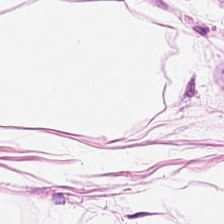H&E-stained tissue section — Classification = fat tissue.
